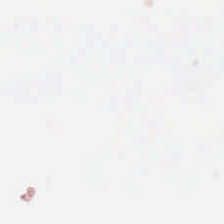Hematoxylin-and-eosin stained section · brightfield.
Finding → empty background.
